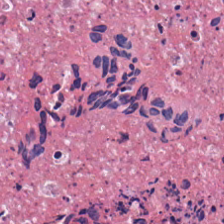H&E-stained tissue section.
Tissue class — cellular debris.
